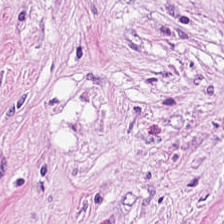Q: What does this patch show?
A: This is cancer-associated stroma.
